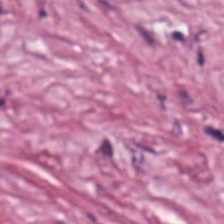Brightfield; 0.5 µm/px; hematoxylin and eosin. The tissue here is tumor stroma.
